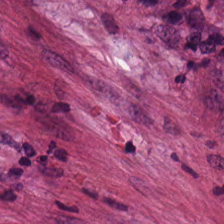The tissue class is tumor-associated stroma.
